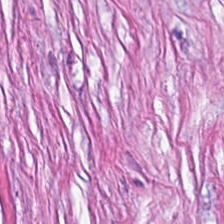FFPE tissue section. Brightfield. Hematoxylin-and-eosin stained section. Tumor stroma.
